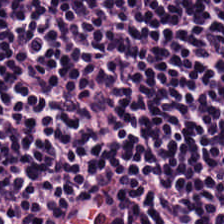FFPE · brightfield microscopy · hematoxylin-and-eosin stained section.
The tissue here is lymphocytic infiltrate.
